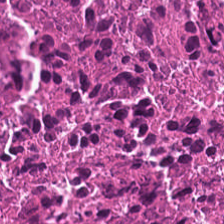Tissue: necrotic debris.
